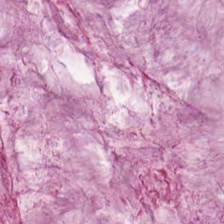Q: What type of tissue is this?
A: Mucus.
